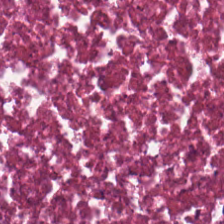Hematoxylin-and-eosin stained section · FFPE.
Histology → necrotic debris.
